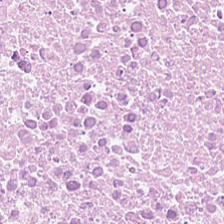224×224 px patch. H&E.
Q: Classify this patch.
A: It is debris.
